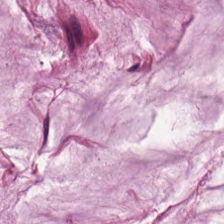H&E stain — Histology — mucus.
